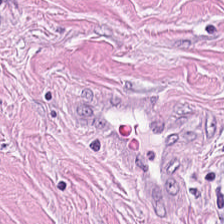H&E; brightfield — Q: What tissue type is shown here?
A: The field shows tumor stroma.
